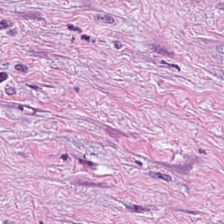Histology → tumor stroma.
